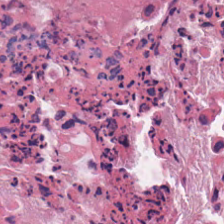224×224 px patch. 0.5 µm per pixel. Hematoxylin-and-eosin stained section. Q: What tissue type is shown here?
A: This is cellular debris.
